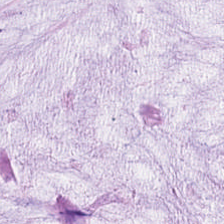H&E stain. The predominant tissue is extracellular mucin.
